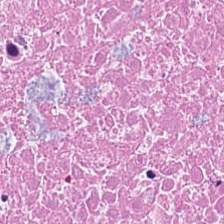H&E stain. Whole-slide-image patch — This field is necrotic debris.
